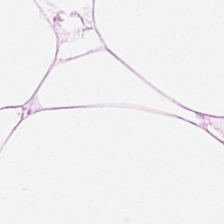Classification — adipose.
